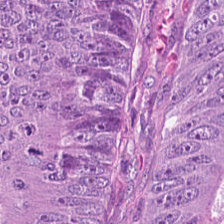H&E. Predominantly tumor epithelium.
